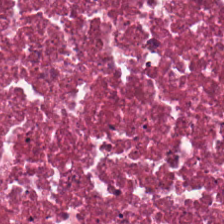H&E stain. Tissue = debris.
